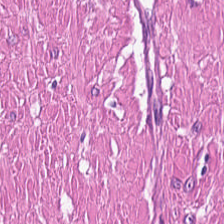This field is muscularis.
